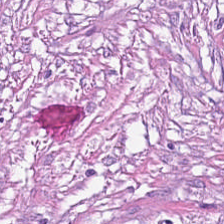The tissue here is tumor stroma.
